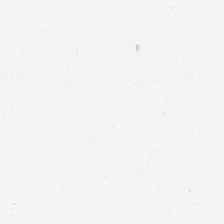H&E stain.
Q: What is shown here?
A: Background.
